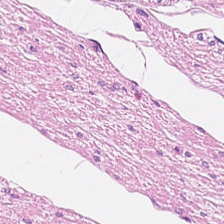Hematoxylin-and-eosin stained section — This field is muscularis.
